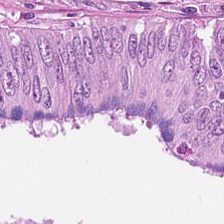H&E-stained tissue section — Tissue type — colorectal adenocarcinoma.
